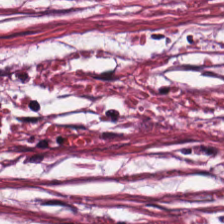Hematoxylin-and-eosin stained section. Q: What is shown in this field?
A: It is tumor-associated stroma.
